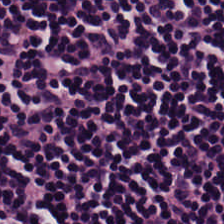H&E. 0.5 µm/px. {"tissue_type": "lymphoid infiltrate"}
